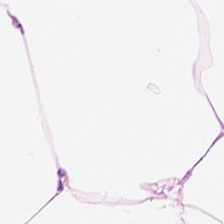FFPE tissue section; H&E stain.
Tissue type: adipocytes.
